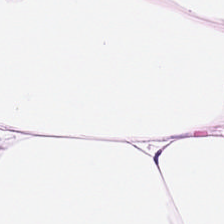H&E-stained tissue section. The predominant tissue is adipose.
